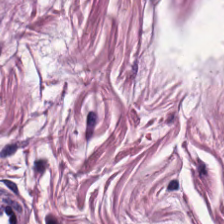Brightfield microscopy · 0.5 µm/px · hematoxylin and eosin — Finding → smooth muscle.
